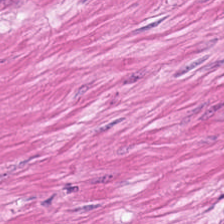H&E-stained tissue section. This patch shows smooth muscle.
